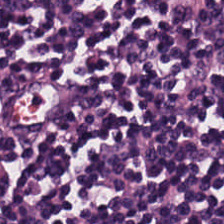Hematoxylin and eosin.
Q: Identify the tissue.
A: Lymphocyte aggregate.
